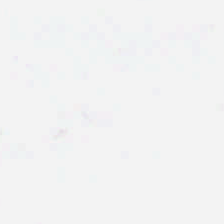Stain: H&E.
Preparation: FFPE tissue section.
Acquisition: WSI patch.
Field content: no tissue.
